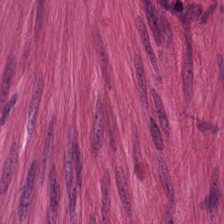H&E stain — Finding — smooth-muscle tissue.
